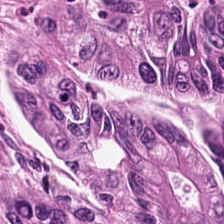0.5 microns per pixel. H&E-stained tissue section — The tissue here is malignant epithelium.
